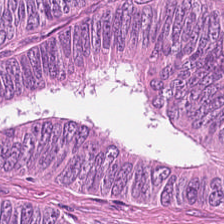H&E stain; brightfield. Predominantly malignant epithelium.
